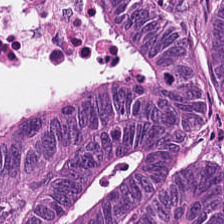Hematoxylin-and-eosin stained section — Q: What is the predominant tissue type?
A: It is adenocarcinoma.
